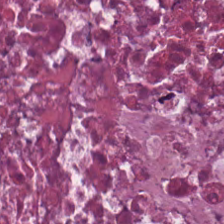Predominantly debris.
